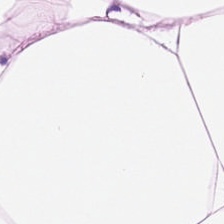Stain: hematoxylin and eosin.
Preparation: FFPE tissue section.
Tile size: 224×224 px patch.
Tissue type: adipocytes.
